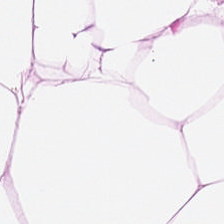Hematoxylin and eosin — {"tissue_type": "fat tissue"}
